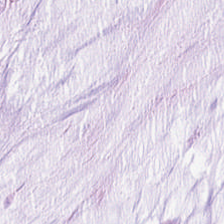Predominant tissue = mucin.
